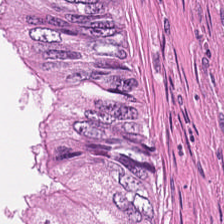Hematoxylin-and-eosin stained section. Brightfield. FFPE tissue section.
Q: What type of tissue is this?
A: This is cellular debris.
